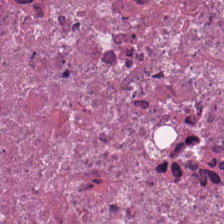H&E-stained tissue section — Predominantly cellular debris.
